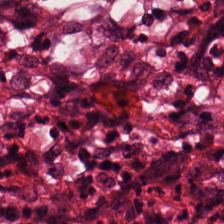WSI patch. FFPE tissue section. H&E-stained tissue section. {"tissue_type": "cancer-associated stroma"}
